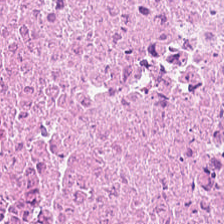Hematoxylin-and-eosin stained section — Q: Classify this patch.
A: The field shows necrotic debris.
